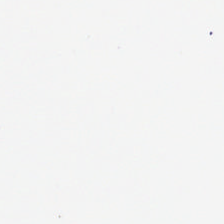No tissue present; background only.
